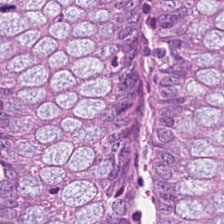The predominant tissue is benign colonic mucosa.
